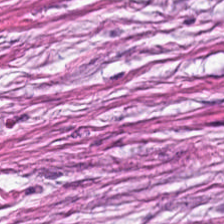The tissue class is tumor stroma.
